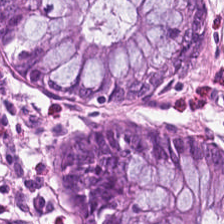Hematoxylin-and-eosin section: normal colonic mucosa.
